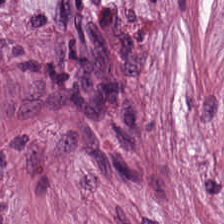Q: Classify this patch.
A: The field shows cancer-associated stroma.
